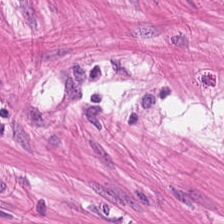Hematoxylin-and-eosin stained section — Showing smooth-muscle tissue.
